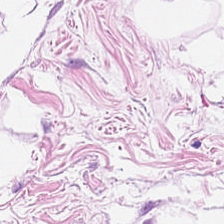Histology → adipocytes.
